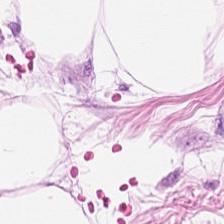H&E stain. Tissue: adipose.
